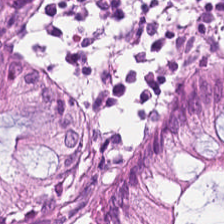H&E stain. 224×224 pixel tile — The predominant tissue is normal colon mucosa.
